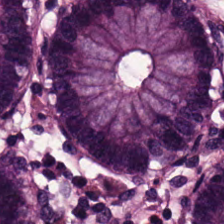The tissue class is normal colon mucosa.
